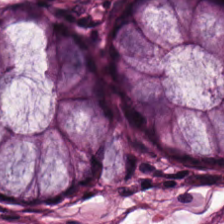224×224 px patch · H&E stain — Normal colonic mucosa.
